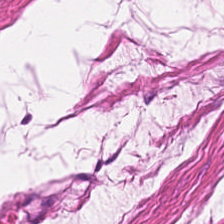Stain: H&E-stained tissue section.
Classification: smooth-muscle tissue.
